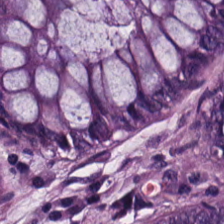224×224 pixel tile · H&E stain.
Tissue = normal colonic mucosa.
